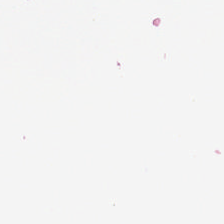H&E stain · 224×224 pixel tile — Background — no tissue in this field.
